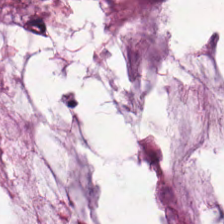H&E. 224×224 px tile. {"tissue_type": "mucus"}
